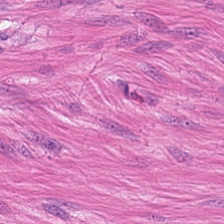H&E stain.
Q: What tissue is shown?
A: This is smooth-muscle tissue.
